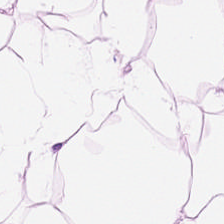H&E-stained tissue section. Predominantly fat tissue.
